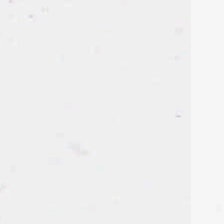H&E stain — No tissue present; background only.
